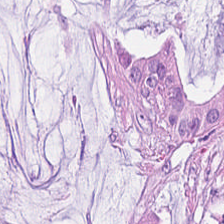Tissue type: mucin.
